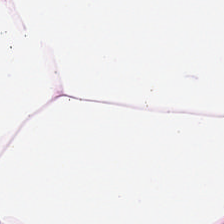FFPE; H&E stain. Histology → fat tissue.
